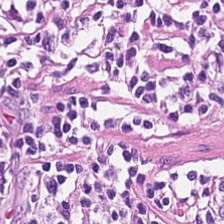Q: What tissue is shown?
A: It is lymphocytes.
